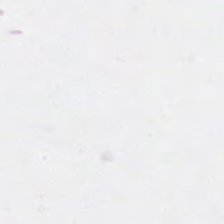H&E stain.
Background — no tissue in this field.
